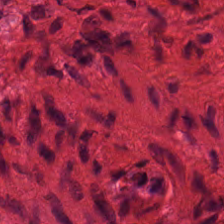H&E-stained tissue section showing muscularis.
